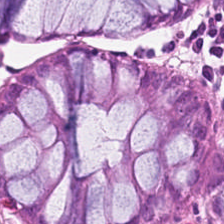Hematoxylin-and-eosin stained section.
Q: What is shown here?
A: It is normal colonic mucosa.
